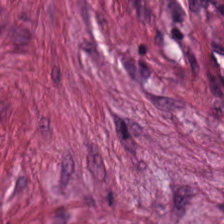Tissue class — tumor stroma.
